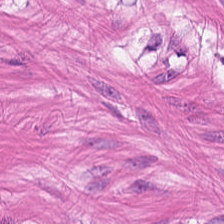This patch shows smooth-muscle tissue.
